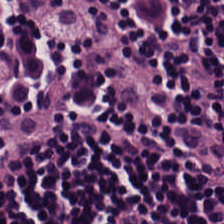Hematoxylin and eosin — Tissue: lymphocyte aggregate.
